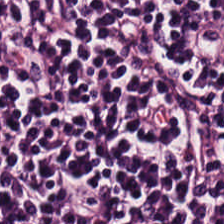Formalin-fixed paraffin-embedded section. H&E. The predominant tissue is lymphocytic infiltrate.
